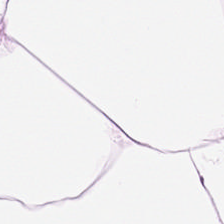H&E-stained tissue section.
The tissue here is adipose.
